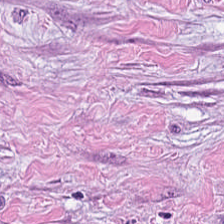Hematoxylin-and-eosin stained section. 224×224 px tile — Desmoplastic stroma.
